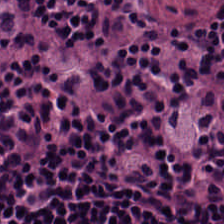H&E stain.
Tissue class — lymphocytes.
